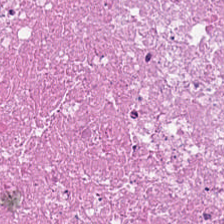Histology — debris.
